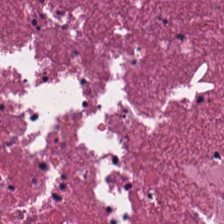Hematoxylin-and-eosin section: debris.
